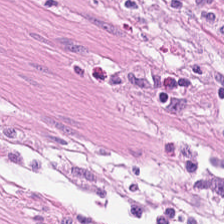Hematoxylin and eosin · 224×224 px patch — Smooth-muscle tissue.
